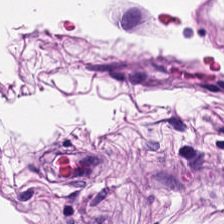H&E-stained section; the field shows muscularis.
